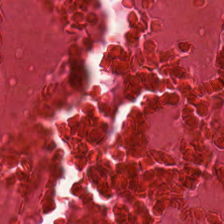Hematoxylin-and-eosin stained section. Finding — necrotic debris.
